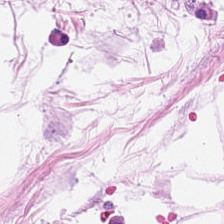H&E-stained tissue section. Whole-slide-image patch.
The predominant tissue is fat tissue.
